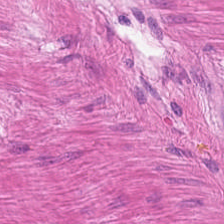Whole-slide-image patch. H&E. The predominant tissue is muscularis.
